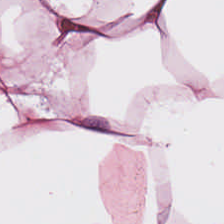This field is fat tissue.
